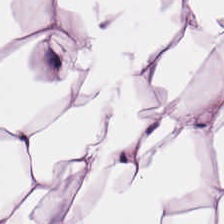Hematoxylin-and-eosin stained section.
Showing adipose.
